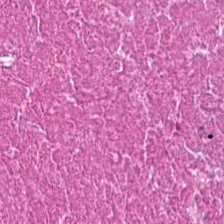H&E stain — Q: What is the predominant tissue type?
A: The field shows necrotic debris.
